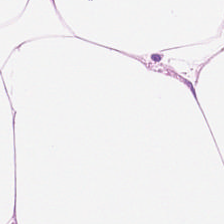Finding — adipocytes.
